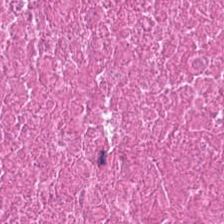0.5 µm per pixel. H&E.
{"tissue_type": "necrotic debris"}
